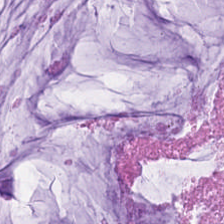0.5 µm per pixel; H&E-stained tissue section — Finding — mucin.
